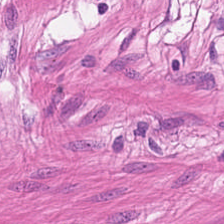Stain: H&E.
Preparation: FFPE tissue section.
Tile size: 224×224 pixel tile.
Tissue type: smooth-muscle tissue.
